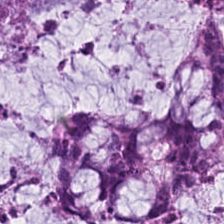WSI patch. 224×224 pixel tile. Hematoxylin-and-eosin stained section. Q: What type of tissue is this?
A: The field shows mucus.
